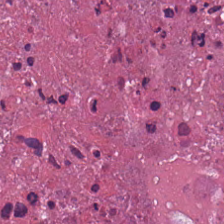Hematoxylin-and-eosin stained section · FFPE · 20× equivalent magnification — The tissue type is cellular debris.
